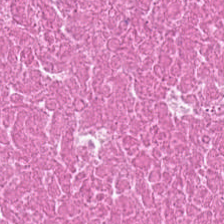Hematoxylin and eosin. Q: What tissue is shown?
A: Cellular debris.
